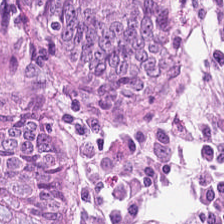Q: Classify this patch.
A: The field shows non-neoplastic colon mucosa.
